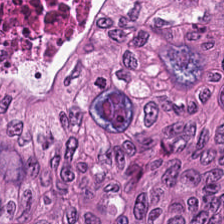Showing tumor epithelium.
